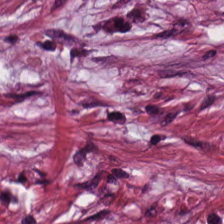Predominant tissue = cancer-associated stroma.
